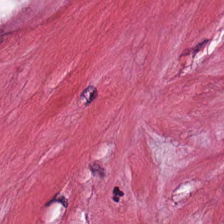H&E-stained tissue section. Histology — tumor stroma.
